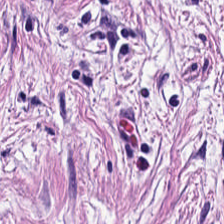0.5 µm per pixel; H&E-stained tissue section.
{"tissue_type": "cancer-associated stroma"}
